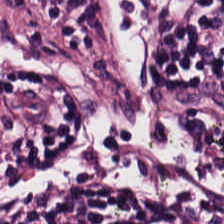224×224 pixel tile · H&E stain · brightfield microscopy — Q: What tissue is shown?
A: It is lymphoid infiltrate.
